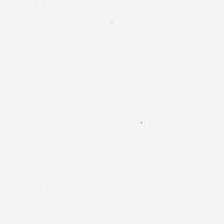This patch shows no tissue.
